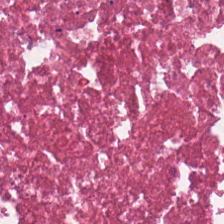224×224 pixel tile. H&E. FFPE tissue section.
{"tissue_type": "debris"}
